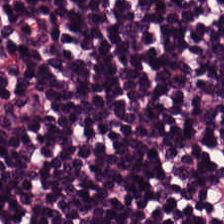Tissue — lymphocytic infiltrate.
